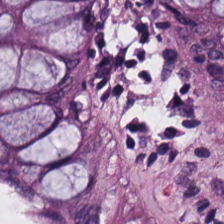Hematoxylin and eosin.
Histology — non-neoplastic colon mucosa.
